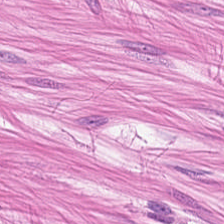H&E stain.
Tissue class = smooth-muscle tissue.
